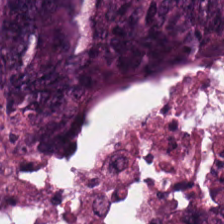Hematoxylin and eosin. Q: What type of tissue is this?
A: It is colorectal adenocarcinoma.
